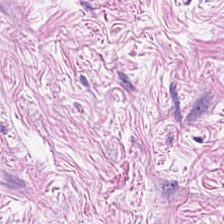Stain: H&E.
Predominant tissue: tumor stroma.
